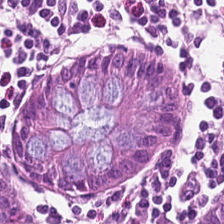Showing non-neoplastic colon mucosa.
